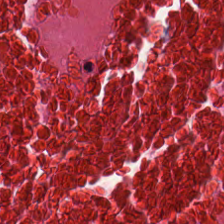H&E — Necrotic debris.
